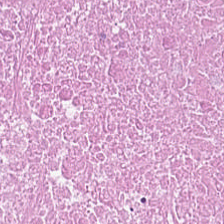Brightfield microscopy · H&E stain. This patch shows cellular debris.
